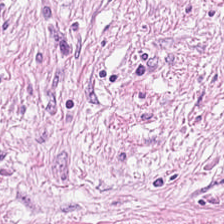H&E stain. 0.5 µm per pixel — Q: What is shown in this field?
A: The field shows cancer-associated stroma.
